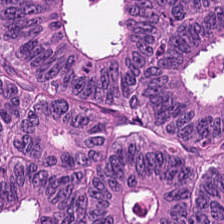Hematoxylin and eosin. Tissue class = colorectal adenocarcinoma.
